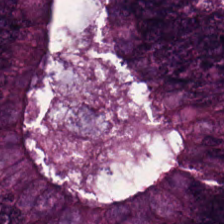Hematoxylin-and-eosin stained section.
Histology → adenocarcinoma.
